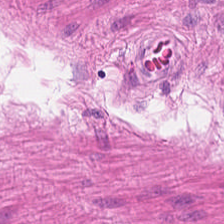Hematoxylin-and-eosin stained section; 224×224 pixel tile; whole-slide-image patch — Classification — muscularis.
